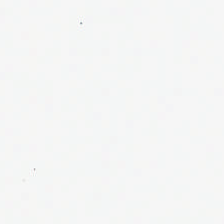224×224 px patch. H&E — Background — no tissue in this field.
